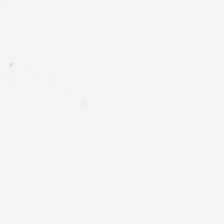20× equivalent magnification · H&E-stained tissue section.
No tissue.
